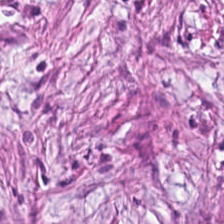H&E. This patch shows desmoplastic stroma.
